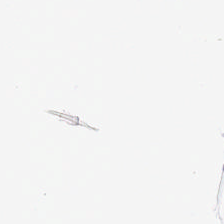FFPE tissue section · H&E stain · 224×224 px patch. Classification: background.
